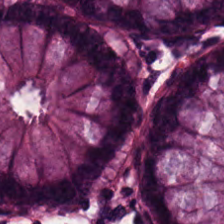H&E-stained tissue section. 224×224 pixel tile — Tissue class = benign colonic mucosa.
